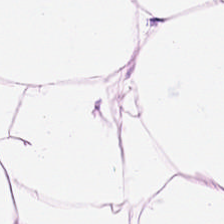H&E — Adipose.
